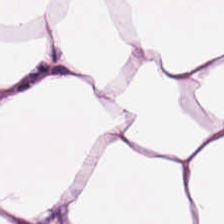H&E stain.
The tissue class is adipose tissue.
